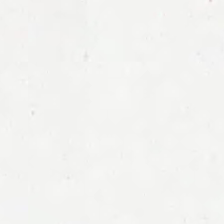Hematoxylin-and-eosin stained section — Field content — background (no tissue).
